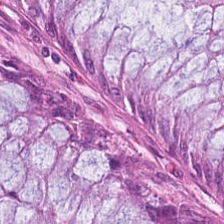H&E stain · 20× equivalent magnification. Normal colon mucosa.
